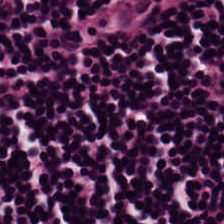The tissue class is lymphocytic infiltrate.
